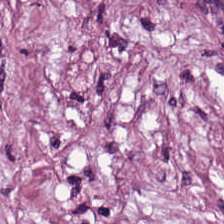H&E stain. Finding — cancer-associated stroma.
